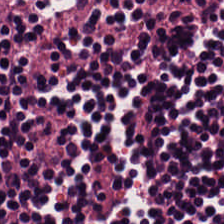Hematoxylin and eosin; 0.5 µm per pixel. Impression — lymphoid infiltrate.
